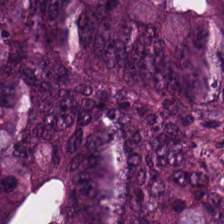FFPE · whole-slide-image patch · hematoxylin-and-eosin stained section. {"tissue_type": "adenocarcinoma"}
